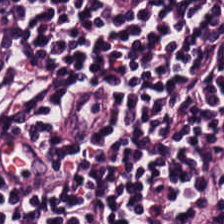H&E stain — Predominant tissue — lymphocytic infiltrate.
